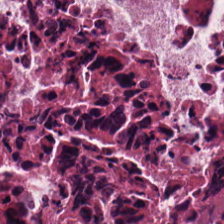The tissue here is debris.
